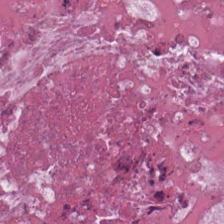H&E. Classification: debris.
